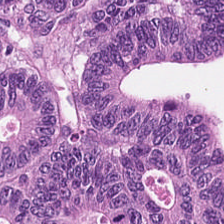H&E stain — Q: What tissue type is shown here?
A: This is tumor epithelium.
